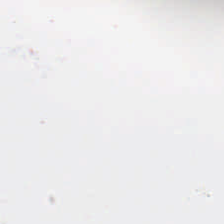This patch shows empty background.
